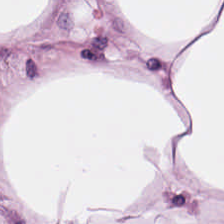0.5 microns per pixel; H&E stain; WSI patch.
Q: Classify this patch.
A: This is adipose tissue.
